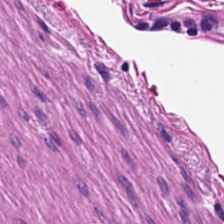FFPE tissue section; hematoxylin-and-eosin stained section — Muscularis.
